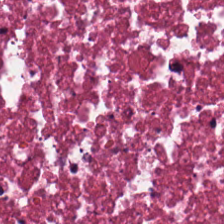Finding → cellular debris.
